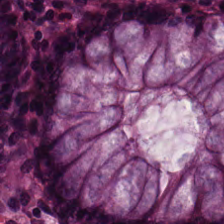H&E stain. The predominant tissue is normal colon mucosa.
